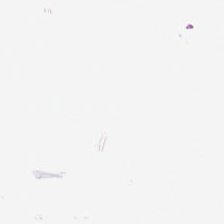This field is background (no tissue).
